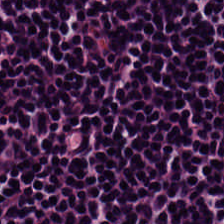H&E stain · 20× equivalent magnification.
Classification = lymphocyte aggregate.
